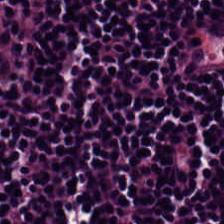Formalin-fixed paraffin-embedded section. H&E-stained tissue section.
Predominantly lymphoid infiltrate.
